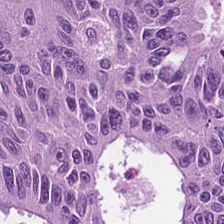Whole-slide-image patch · hematoxylin and eosin.
Q: What is shown here?
A: It is colorectal adenocarcinoma epithelium.
